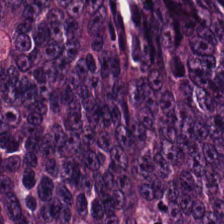Hematoxylin and eosin — This patch shows adenocarcinoma.
